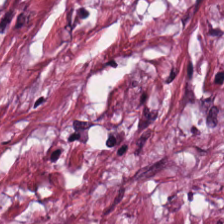H&E stain. Predominant tissue — tumor-associated stroma.
